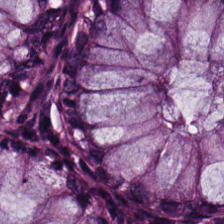H&E — Showing benign colonic mucosa.
